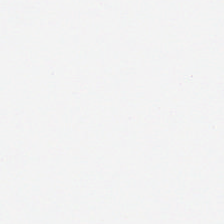Stain: H&E stain.
Tile size: 224×224 px patch.
Resolution: 0.5 µm per pixel.
Content: background.
